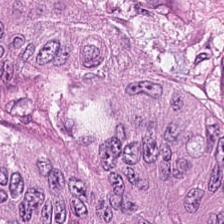Hematoxylin-and-eosin stained section · 0.5 microns per pixel. Colorectal adenocarcinoma.
